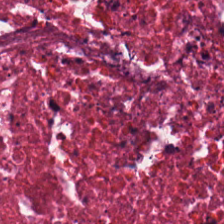Showing cellular debris.
